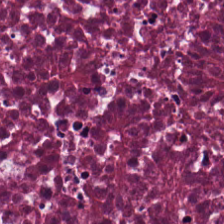H&E-stained tissue section.
Impression — debris.
